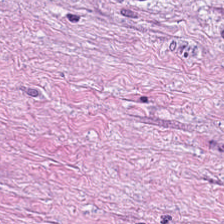FFPE. H&E. Q: What is the predominant tissue type?
A: This is desmoplastic stroma.
